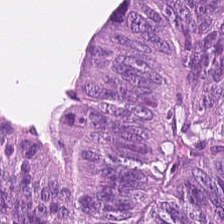Hematoxylin-and-eosin stained section. Histology — malignant epithelium.
